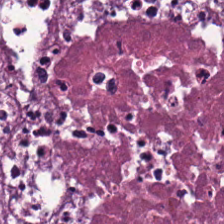Hematoxylin and eosin — Predominantly necrotic debris.
